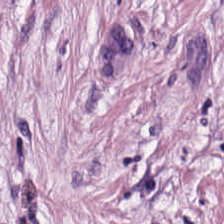H&E-stained tissue section. Finding → tumor stroma.
